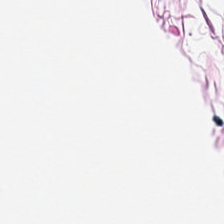Hematoxylin-and-eosin stained section.
Impression — adipocytes.
